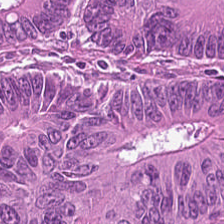0.5 microns per pixel; H&E stain; formalin-fixed paraffin-embedded section — The predominant tissue is colorectal adenocarcinoma.
